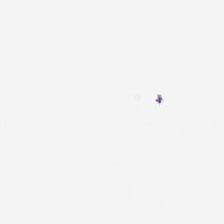Hematoxylin and eosin; formalin-fixed paraffin-embedded section. The field content is background (no tissue).
